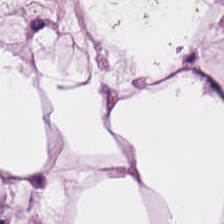0.5 µm per pixel. H&E stain — This field is fat tissue.
